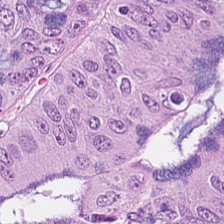FFPE · hematoxylin-and-eosin stained section · whole-slide-image patch — Q: What tissue is shown?
A: The field shows adenocarcinoma.
